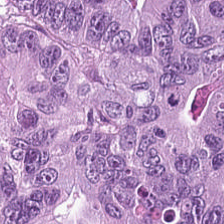H&E. The predominant tissue is adenocarcinoma.
